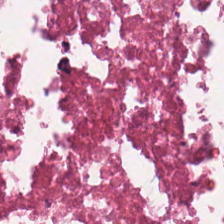H&E stain.
Predominantly necrotic debris.
